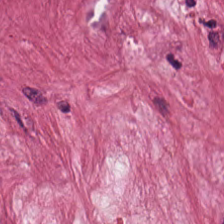H&E-stained tissue section. The tissue type is tumor stroma.
